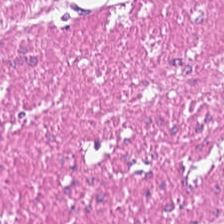H&E-stained tissue section.
The tissue type is muscularis.
